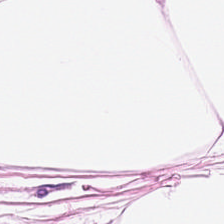WSI patch. Hematoxylin-and-eosin stained section. {"tissue_type": "adipose"}
